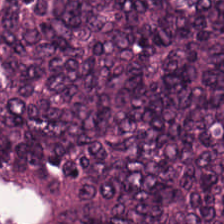Stain: H&E stain.
Predominant tissue: adenocarcinoma.
